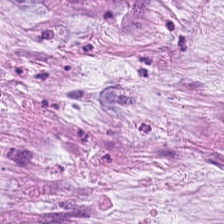Hematoxylin and eosin. Classification = extracellular mucin.
